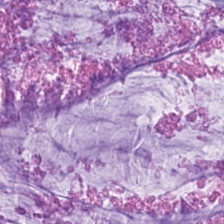Formalin-fixed paraffin-embedded section · hematoxylin-and-eosin stained section.
This patch shows mucin.
